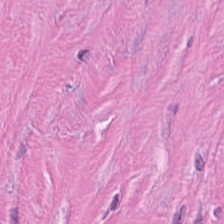Hematoxylin-and-eosin stained section.
Tumor stroma.
